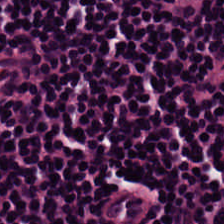Finding → lymphoid infiltrate.
